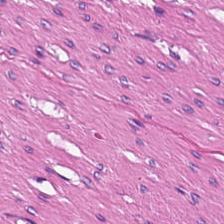H&E.
Classification — muscularis.
